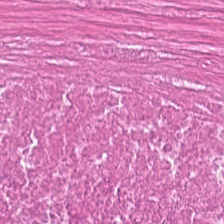H&E patch showing necrotic debris.
